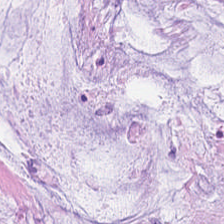Tissue — mucus.
